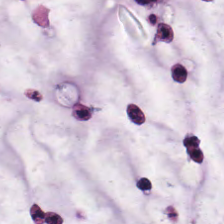Hematoxylin-and-eosin section: mucin.
